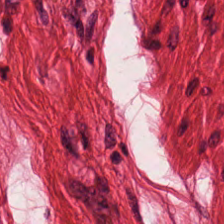Hematoxylin-and-eosin stained section — Classification: muscularis.
